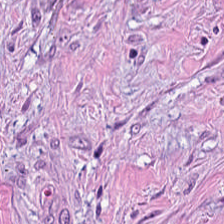Whole-slide-image patch · H&E-stained tissue section — Q: What type of tissue is this?
A: It is tumor stroma.
